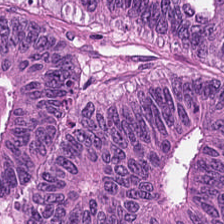224×224 px tile · H&E · whole-slide-image patch. The predominant tissue is tumor epithelium.
